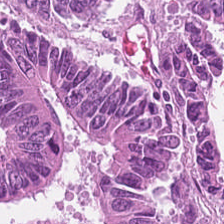Stain: H&E.
Resolution: 0.5 microns per pixel.
Classification: colorectal adenocarcinoma epithelium.
